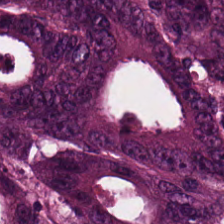H&E-stained section; the field shows malignant epithelium.
